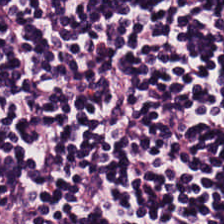224×224 px tile; hematoxylin and eosin; FFPE tissue section.
The tissue here is lymphocytic infiltrate.
